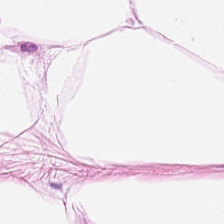224×224 px patch; hematoxylin-and-eosin stained section.
Histology — fat tissue.
